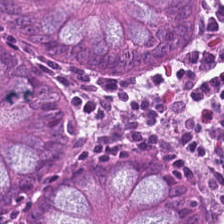Brightfield. Hematoxylin and eosin — Tissue class — benign colonic mucosa.
